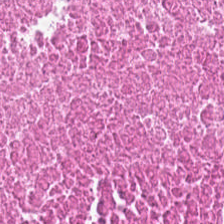H&E. The tissue class is necrotic debris.
